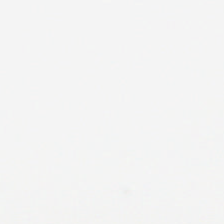Background — no tissue in this field.
